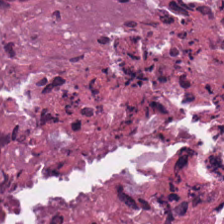H&E stain.
The tissue class is debris.
